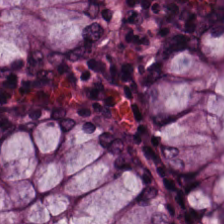The classification is benign colonic mucosa.
